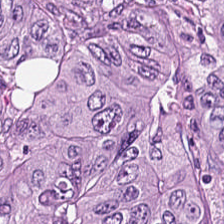Hematoxylin and eosin — The tissue here is tumor epithelium.
